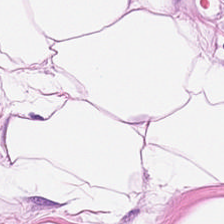The tissue class is fat tissue.
